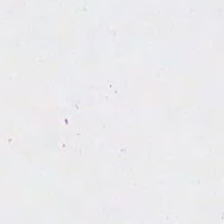Hematoxylin-and-eosin stained section; 0.5 µm/px — The content is background (no tissue).
